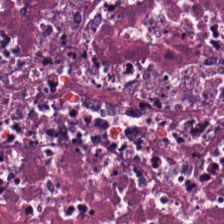Finding → debris.
